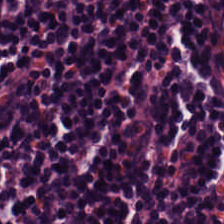H&E — Tissue class = lymphocytes.
